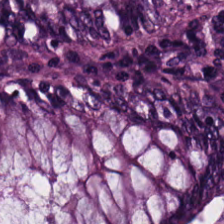Hematoxylin and eosin.
Predominant tissue = normal colon mucosa.
